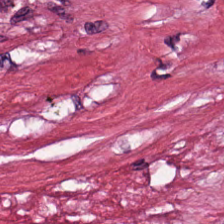0.5 microns per pixel. Brightfield microscopy. Hematoxylin-and-eosin stained section — This field is desmoplastic stroma.
